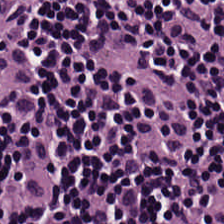Hematoxylin and eosin · 224×224 px tile.
Tissue type — lymphocytes.
